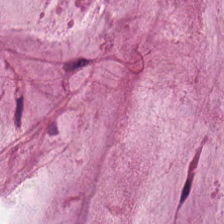0.5 µm per pixel. 224×224 px patch. Hematoxylin-and-eosin stained section — Tissue type — mucin.
